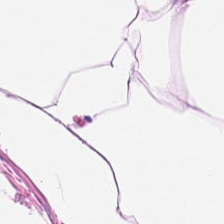Hematoxylin-and-eosin stained section — Finding — adipocytes.
